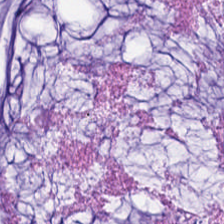H&E stain. This field is mucin.
